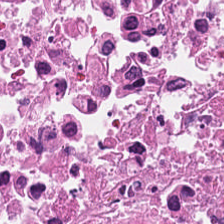FFPE · hematoxylin-and-eosin stained section — Classification — cellular debris.
